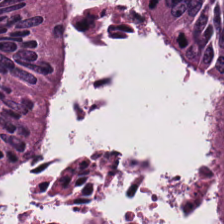Hematoxylin-and-eosin stained section — {"tissue_type": "adenocarcinoma"}
